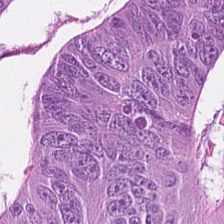Q: What does this patch show?
A: Tumor epithelium.
